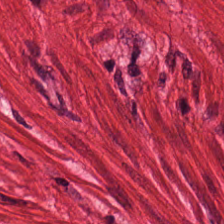The classification is muscularis.
